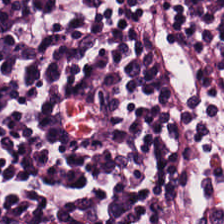Stain: hematoxylin-and-eosin stained section.
Tile size: 224×224 pixel tile.
Acquisition: brightfield.
Tissue type: lymphocyte aggregate.
